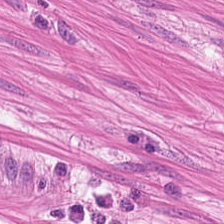Tissue = smooth-muscle tissue.
